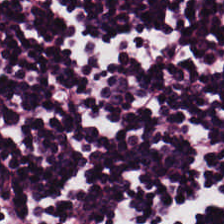Finding → lymphoid infiltrate.
